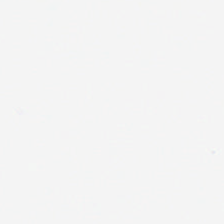Formalin-fixed paraffin-embedded section; hematoxylin and eosin; 0.5 microns per pixel — Impression — empty background.
